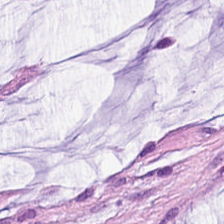H&E stain. Classification — mucin.
